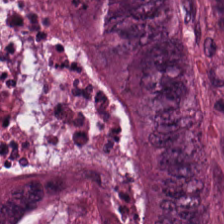Classification — adenocarcinoma.
